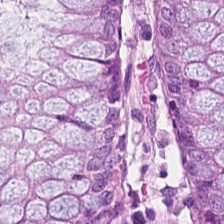H&E-stained tissue section — Q: What is the predominant tissue type?
A: The field shows normal colon mucosa.
